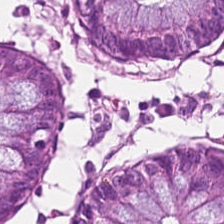This field is normal colon mucosa.
